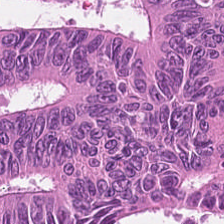{"tissue_type": "colorectal adenocarcinoma epithelium"}
